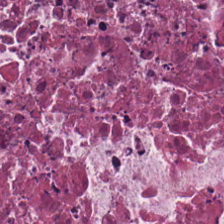H&E — {"tissue_type": "debris"}
